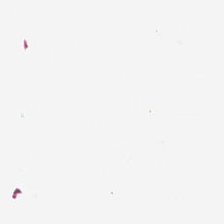Hematoxylin-and-eosin stained section. Content — empty background.
